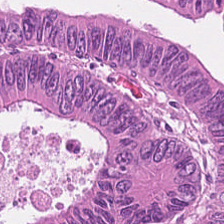H&E stain. Adenocarcinoma.
